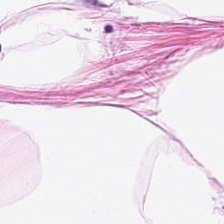Brightfield; hematoxylin-and-eosin stained section.
This patch shows adipocytes.
